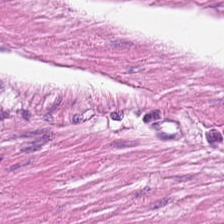Stain: H&E.
Resolution: 0.5 µm per pixel.
Classification: smooth muscle.
